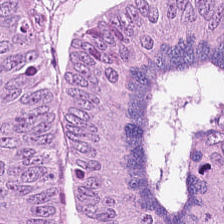H&E-stained tissue section · 0.5 µm/px · WSI patch.
The predominant tissue is tumor epithelium.
